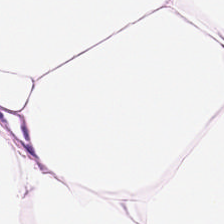Hematoxylin-and-eosin section: adipose tissue.
